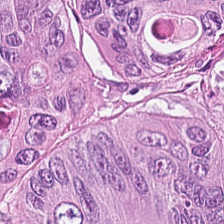Brightfield; H&E — Finding — tumor epithelium.
